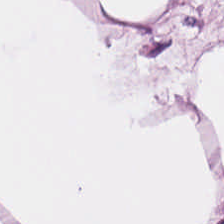H&E. This patch shows fat tissue.
